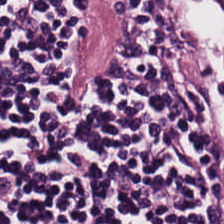Stain: H&E.
Acquisition: brightfield microscopy.
Tile size: 224×224 px patch.
Tissue type: lymphocyte aggregate.
